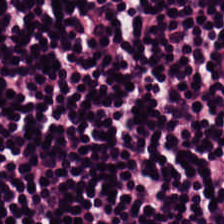FFPE · H&E — Predominantly lymphocytes.
